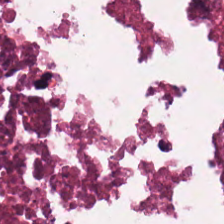H&E. Q: Classify this patch.
A: The field shows debris.
